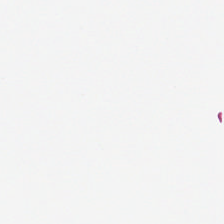H&E-stained tissue section — Q: What is shown in this field?
A: The field shows empty background.
